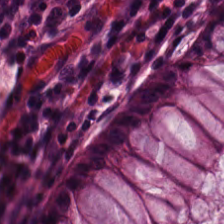Brightfield · hematoxylin and eosin.
Q: Classify this patch.
A: It is non-neoplastic colon mucosa.
